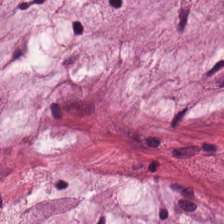H&E-stained tissue section; brightfield. The classification is extracellular mucin.
